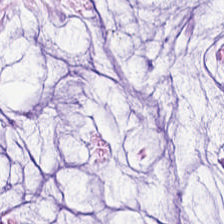This field is extracellular mucin.
